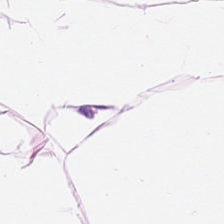H&E.
This field is adipose tissue.
